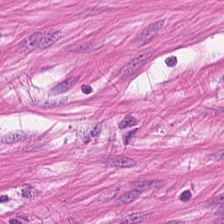H&E; formalin-fixed paraffin-embedded section — Histology — muscularis.
